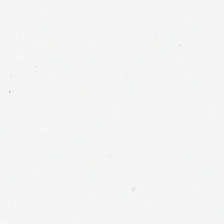Content — no tissue.
